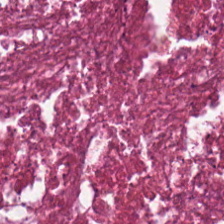Brightfield; H&E-stained tissue section; 20× equivalent magnification.
This field is necrotic debris.
